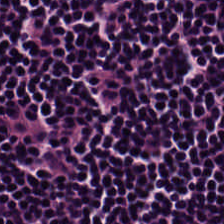Stain: H&E.
Preparation: FFPE tissue section.
Predominant tissue: lymphocytic infiltrate.
